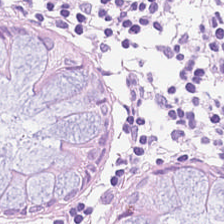Stain: H&E.
Tissue: benign colonic mucosa.
